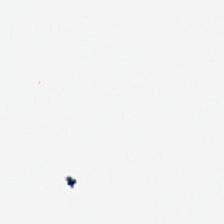Stain: H&E stain.
Resolution: 0.5 µm/px.
Content: empty background.
